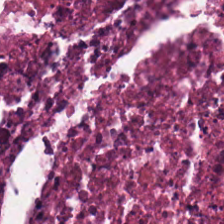H&E. The classification is debris.
